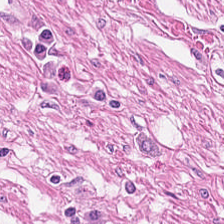20× equivalent magnification · hematoxylin-and-eosin stained section · FFPE.
Q: What tissue type is shown here?
A: This is muscularis.
